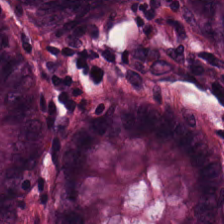Q: Identify the tissue.
A: It is non-neoplastic colon mucosa.
